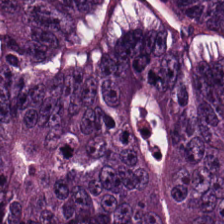Brightfield. 20× equivalent magnification. H&E stain.
Classification: adenocarcinoma.
